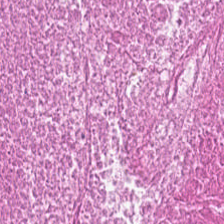H&E stain — Classification: cellular debris.
